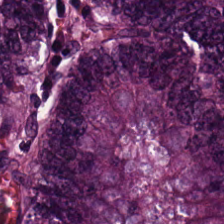Q: What tissue type is shown here?
A: This is colorectal adenocarcinoma.
